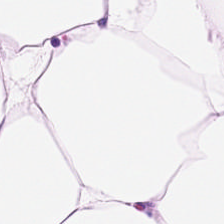0.5 microns per pixel · H&E-stained tissue section — Predominantly adipose.
